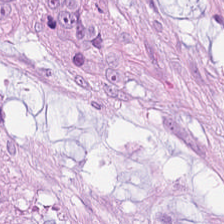H&E stain. Q: What is shown here?
A: Tumor epithelium.
